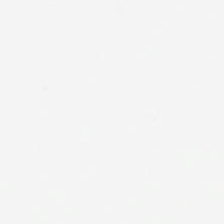No tissue.
